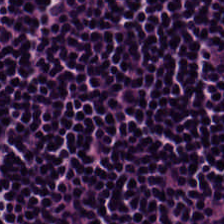Stain: hematoxylin and eosin.
Acquisition: whole-slide-image patch.
Tile size: 224×224 px patch.
Tissue type: lymphocytes.
